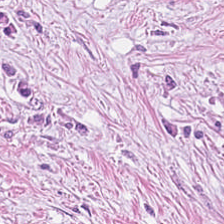Hematoxylin and eosin.
{"tissue_type": "cancer-associated stroma"}
